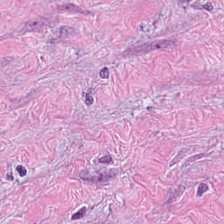H&E stain — Predominant tissue — tumor stroma.
